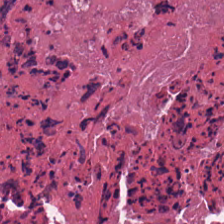FFPE tissue section. Hematoxylin-and-eosin stained section — This patch shows cellular debris.
